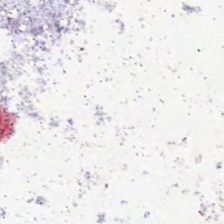224×224 pixel tile · H&E-stained tissue section. Background.
